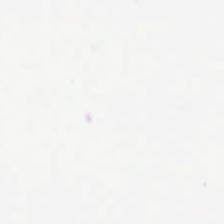Hematoxylin-and-eosin stained section. The field content is background.
